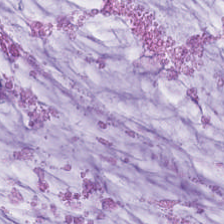Formalin-fixed paraffin-embedded section. H&E — The predominant tissue is mucus.
